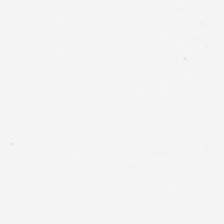Stain: H&E-stained tissue section.
Classification: background (no tissue).
